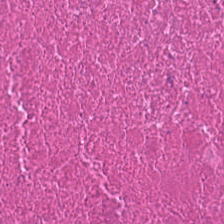FFPE · 224×224 pixel tile · H&E — Q: What is shown here?
A: Debris.
